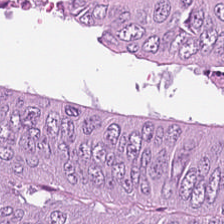0.5 µm/px; hematoxylin and eosin. The predominant tissue is colorectal adenocarcinoma.
